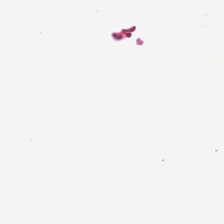H&E — This patch shows background.
